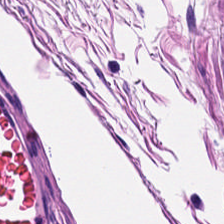Stain: H&E-stained tissue section.
Acquisition: brightfield.
Predominant tissue: smooth-muscle tissue.
